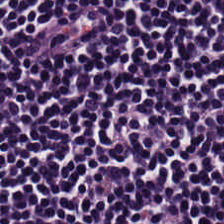0.5 µm per pixel · H&E stain — Predominantly lymphoid infiltrate.
